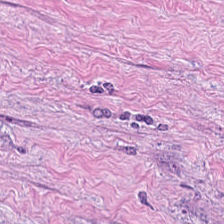Q: What tissue is shown?
A: The field shows desmoplastic stroma.
